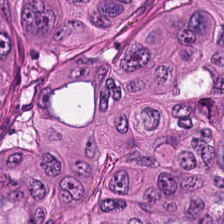H&E stain — Impression — adenocarcinoma.
